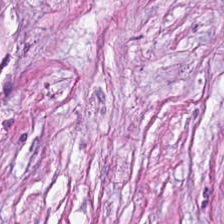Q: Identify the tissue.
A: This is tumor stroma.
